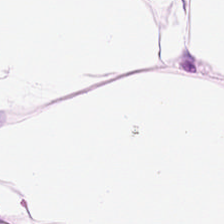H&E; 0.5 microns per pixel; whole-slide-image patch. The tissue is adipocytes.
